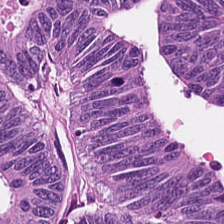Formalin-fixed paraffin-embedded section · H&E-stained tissue section · WSI patch. Colorectal adenocarcinoma.
